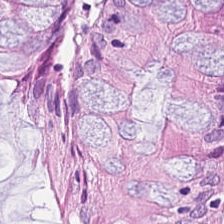Hematoxylin-and-eosin stained section.
The tissue here is normal colon mucosa.
